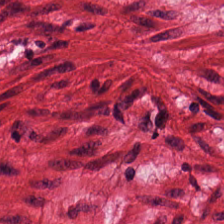224×224 px tile. H&E stain — Tissue = muscularis.
